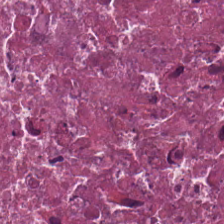Classification — cellular debris.
